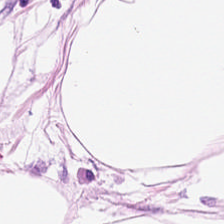Hematoxylin and eosin.
Tissue = adipose.
